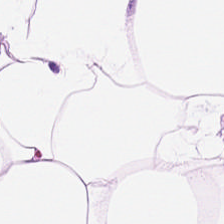H&E-stained tissue section; 0.5 microns per pixel.
The tissue is adipose.
